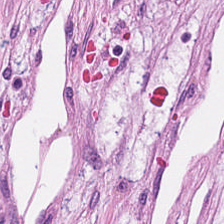FFPE tissue section. Hematoxylin and eosin.
Tissue type = tumor stroma.
